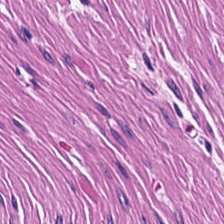H&E stain — Predominant tissue: smooth muscle.
